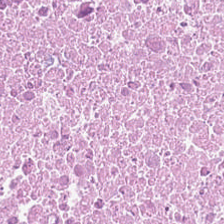H&E-stained tissue section; brightfield microscopy. This field is cellular debris.
